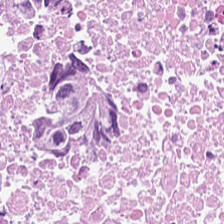Hematoxylin-and-eosin stained section.
Predominantly cellular debris.
